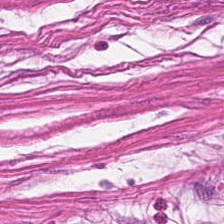{"tissue_type": "smooth-muscle tissue"}
